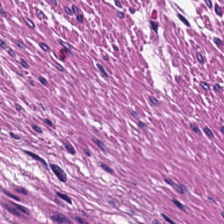Hematoxylin and eosin.
Tissue type — muscularis.
